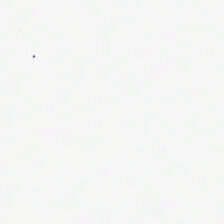Hematoxylin and eosin.
This field is background (no tissue).
